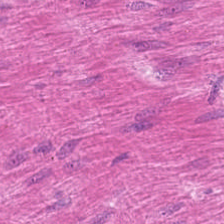Stain: hematoxylin and eosin.
Tissue: smooth-muscle tissue.
